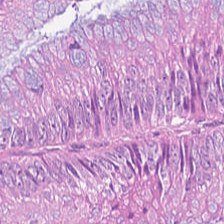H&E stain — Tissue class: colorectal adenocarcinoma.
